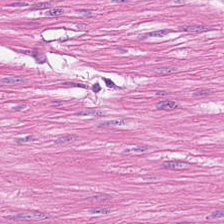224×224 px patch · H&E-stained tissue section · FFPE — The predominant tissue is muscularis.
